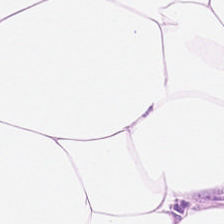0.5 µm per pixel; H&E-stained tissue section; formalin-fixed paraffin-embedded section.
Tissue type — fat tissue.
